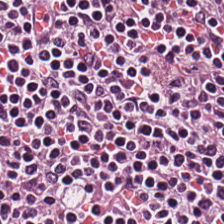Stain: H&E stain.
Resolution: 0.5 µm/px.
Predominant tissue: lymphocyte aggregate.
